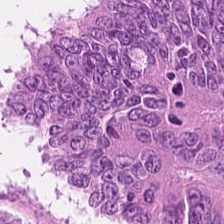H&E stain. Q: What is shown in this field?
A: The field shows colorectal adenocarcinoma.
